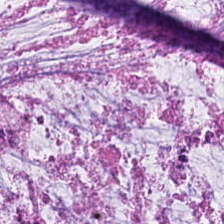Hematoxylin and eosin · brightfield microscopy · FFPE — Predominantly mucin.
